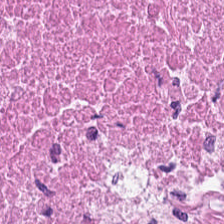Brightfield. Hematoxylin and eosin. Formalin-fixed paraffin-embedded section — Impression → necrotic debris.
